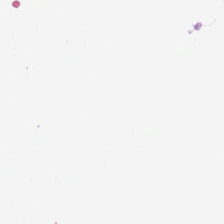H&E stain.
No tissue present; background only.
